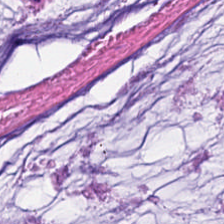Hematoxylin-and-eosin stained section — Showing mucin.
